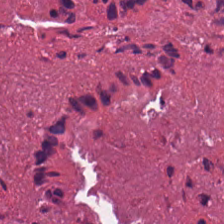Hematoxylin and eosin.
The predominant tissue is cellular debris.
